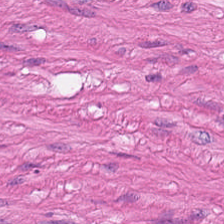Q: What is shown in this field?
A: Muscularis.
